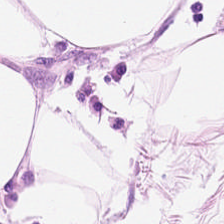Hematoxylin-and-eosin stained section. This field is adipocytes.
